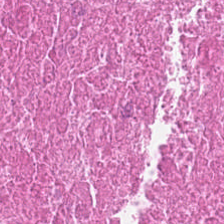H&E. Tissue type: debris.
